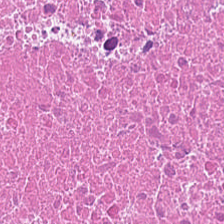Showing debris.
